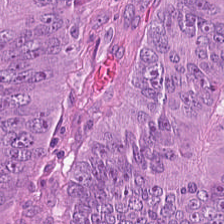Hematoxylin-and-eosin stained section. Q: What tissue is shown?
A: It is malignant epithelium.
